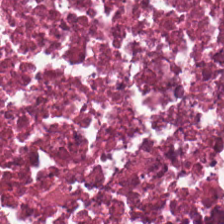H&E stain. 224×224 pixel tile. 0.5 µm/px.
Tissue type — cellular debris.
